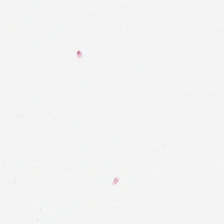Stain: hematoxylin-and-eosin stained section.
Acquisition: whole-slide-image patch.
Tile size: 224×224 pixel tile.
Field content: empty background.
